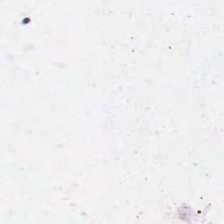Hematoxylin-and-eosin stained section — This patch shows empty background.
